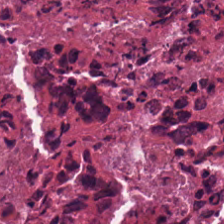This patch shows cellular debris.
